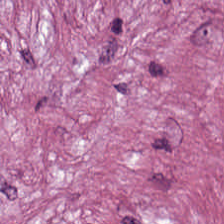Brightfield; H&E-stained tissue section — Showing tumor-associated stroma.
